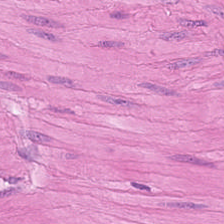224×224 px tile; H&E stain.
Smooth-muscle tissue.
